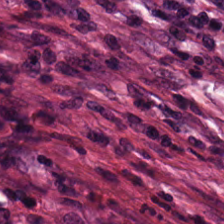Hematoxylin and eosin. Impression — desmoplastic stroma.
